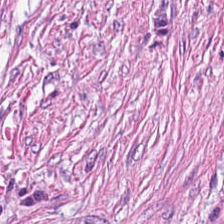H&E stain.
Tissue — cancer-associated stroma.
